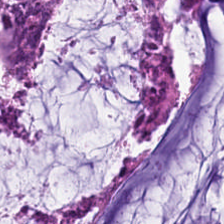Hematoxylin and eosin. Q: What is the predominant tissue type?
A: Extracellular mucin.
